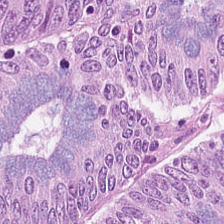H&E-stained tissue section. Formalin-fixed paraffin-embedded section. Impression — colorectal adenocarcinoma.
